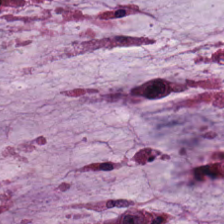Stain: H&E.
Tissue: extracellular mucin.
